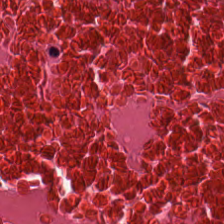Showing necrotic debris.
